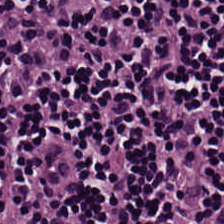H&E. Brightfield. This field is lymphocytes.
